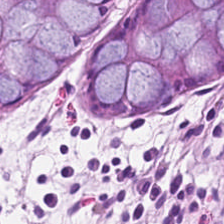Q: Identify the tissue.
A: Non-neoplastic colon mucosa.
